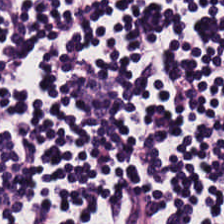Formalin-fixed paraffin-embedded section; 0.5 microns per pixel; hematoxylin and eosin.
Lymphocyte aggregate.
